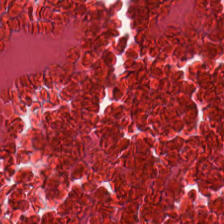Whole-slide-image patch; hematoxylin-and-eosin stained section; formalin-fixed paraffin-embedded section — Finding → necrotic debris.
